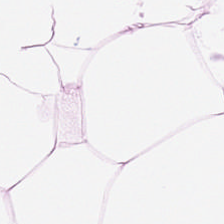0.5 µm/px; H&E-stained tissue section — This field is adipose.
